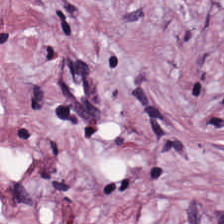Hematoxylin-and-eosin stained section; whole-slide-image patch. The classification is cancer-associated stroma.
